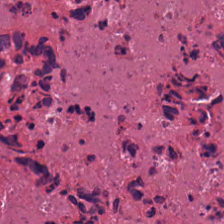Hematoxylin-and-eosin stained section · 0.5 µm/px · brightfield — {"tissue_type": "necrotic debris"}
